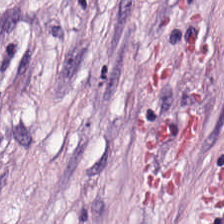H&E — The tissue class is tumor stroma.
